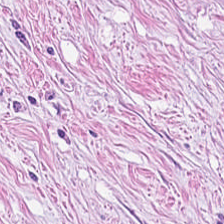Hematoxylin-and-eosin stained section — Predominant tissue — tumor-associated stroma.
